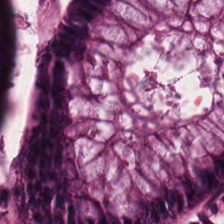Stain: H&E-stained tissue section.
Resolution: 0.5 µm per pixel.
Predominant tissue: benign colonic mucosa.
